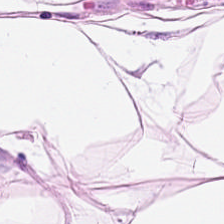Stain: H&E stain.
Classification: adipose tissue.
